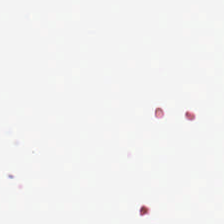Hematoxylin and eosin. Finding — no tissue.
